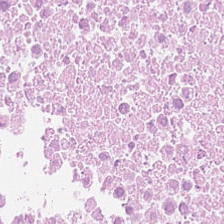FFPE tissue section · hematoxylin-and-eosin stained section · 0.5 µm/px. Finding — cellular debris.
